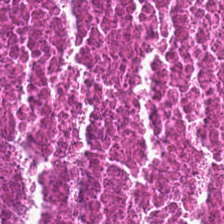H&E. Classification — cellular debris.
